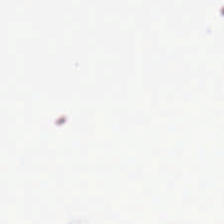No tissue.
